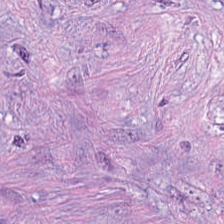224×224 pixel tile; H&E-stained tissue section.
The tissue class is tumor-associated stroma.
